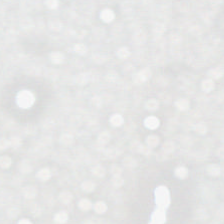H&E-stained tissue section.
Empty field — no tissue.
